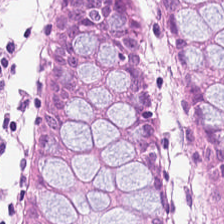Benign colonic mucosa.
